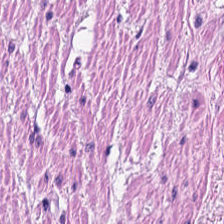Formalin-fixed paraffin-embedded section; H&E. Tissue class — smooth muscle.
